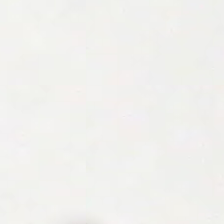H&E-stained tissue section. Brightfield microscopy. 20× equivalent magnification — This patch shows empty background.
